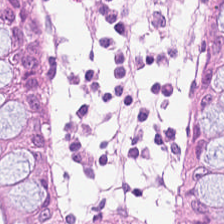H&E. Q: What does this patch show?
A: Normal colonic mucosa.
